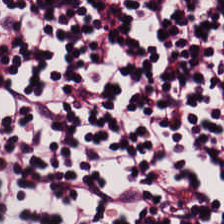H&E-stained tissue section showing lymphocytic infiltrate.
